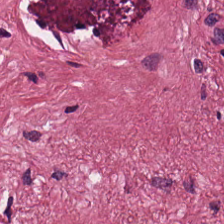Hematoxylin-and-eosin stained section.
This patch shows cancer-associated stroma.
